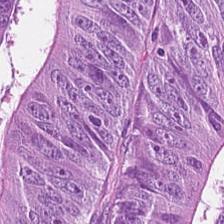224×224 pixel tile · H&E · 0.5 µm/px.
Q: What does this patch show?
A: Tumor epithelium.
